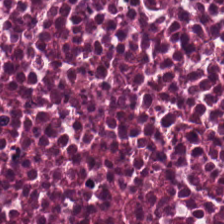H&E — Debris.
